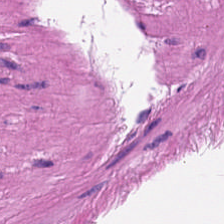Stain: H&E-stained tissue section.
Tissue: muscularis.
